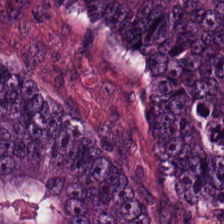Hematoxylin-and-eosin stained section. Adenocarcinoma.
